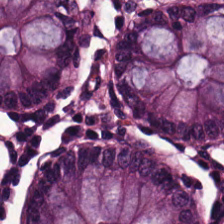The tissue type is non-neoplastic colon mucosa.
